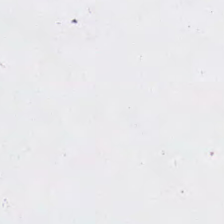Stain: H&E.
Preparation: FFPE tissue section.
Field content: no tissue.
